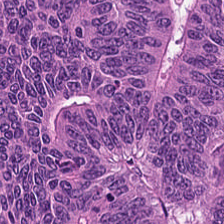H&E stain. Tissue type = tumor epithelium.
